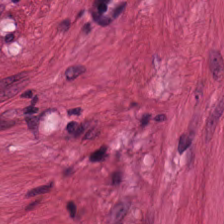0.5 microns per pixel; hematoxylin-and-eosin stained section. Q: What tissue type is shown here?
A: It is smooth-muscle tissue.
